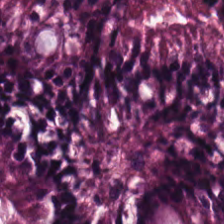Tissue: normal colon mucosa.
